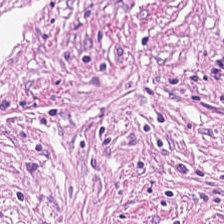Showing cancer-associated stroma.
